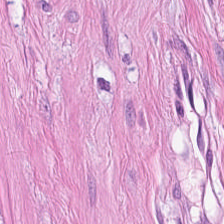Q: What is shown here?
A: Smooth muscle.
